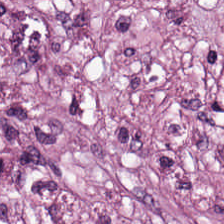Tissue type: desmoplastic stroma.
